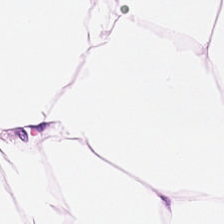H&E stain · formalin-fixed paraffin-embedded section. Q: What tissue type is shown here?
A: Adipose tissue.
